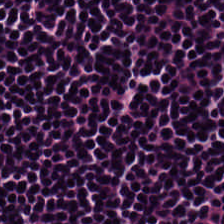Hematoxylin-and-eosin stained section.
Predominant tissue = lymphoid infiltrate.
